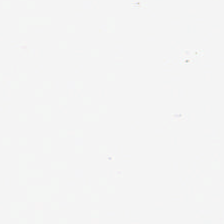H&E-stained tissue section.
The content is background.
